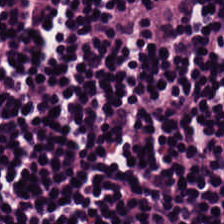224×224 pixel tile. H&E.
The predominant tissue is lymphoid infiltrate.
